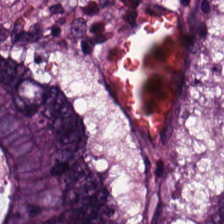Q: What tissue type is shown here?
A: Malignant epithelium.
